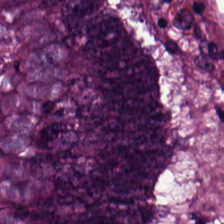{"tissue_type": "colorectal adenocarcinoma epithelium"}
